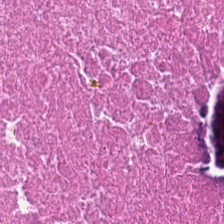H&E stain. Predominant tissue — necrotic debris.
